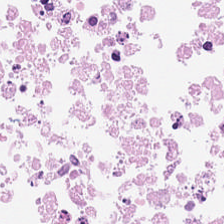Hematoxylin-and-eosin stained section; WSI patch; 0.5 microns per pixel.
Finding → debris.
